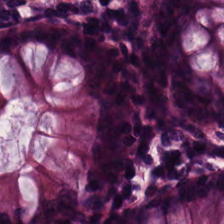FFPE tissue section · hematoxylin and eosin — This patch shows normal colonic mucosa.
